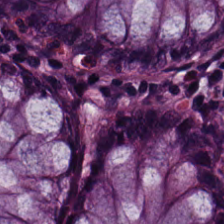Stain: H&E-stained tissue section.
Acquisition: brightfield.
Preparation: formalin-fixed paraffin-embedded section.
Predominant tissue: benign colonic mucosa.
